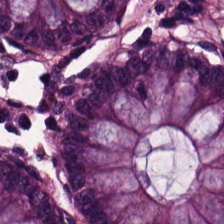0.5 µm per pixel. H&E-stained tissue section. 224×224 px patch — Predominant tissue = normal colon mucosa.
